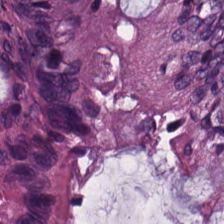H&E — Showing normal colonic mucosa.
